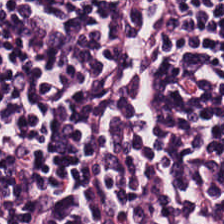The predominant tissue is lymphocyte aggregate.
